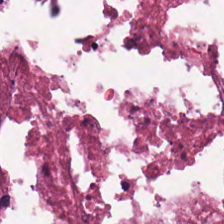H&E; formalin-fixed paraffin-embedded section — Showing debris.
